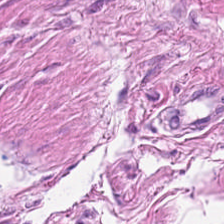FFPE tissue section · H&E-stained tissue section — Q: What is shown here?
A: It is muscularis.
